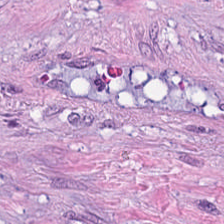Hematoxylin-and-eosin stained section. Classification = cancer-associated stroma.
